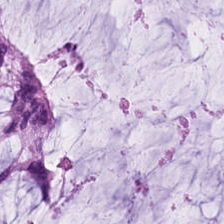Showing mucin.
